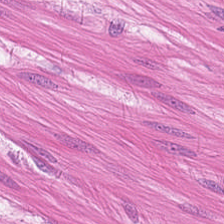Brightfield. Hematoxylin and eosin. 224×224 px tile. This patch shows smooth-muscle tissue.
